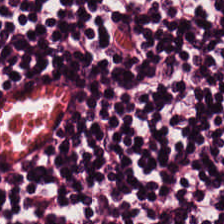{"tissue_type": "lymphocytic infiltrate"}
